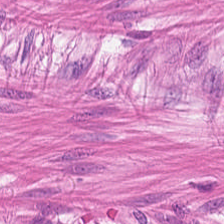Predominant tissue: smooth muscle.
